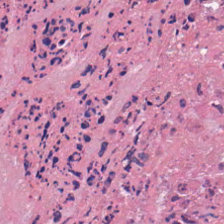H&E.
Impression → necrotic debris.
